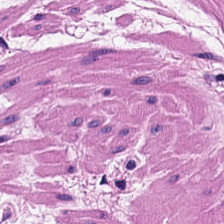Hematoxylin and eosin.
Showing muscularis.
